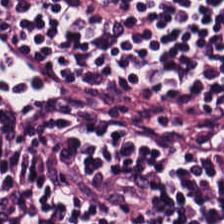Hematoxylin-and-eosin stained section. Formalin-fixed paraffin-embedded section. Brightfield.
Predominantly lymphocyte aggregate.
